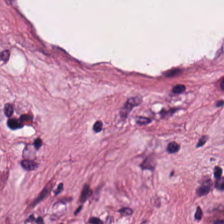H&E-stained tissue section. Predominant tissue: tumor-associated stroma.
